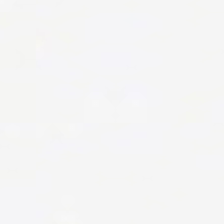224×224 px patch. Brightfield microscopy. H&E-stained tissue section — Background — no tissue in this field.
